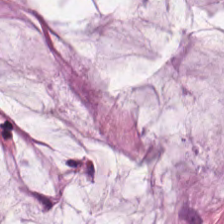224×224 px tile; hematoxylin-and-eosin stained section. Q: What does this patch show?
A: Mucin.
